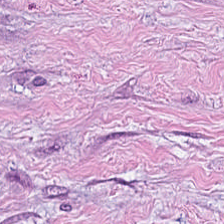Hematoxylin-and-eosin stained section · 224×224 px tile. The tissue type is tumor stroma.
